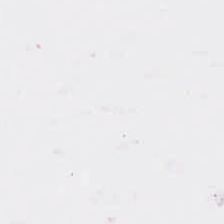Hematoxylin and eosin; brightfield microscopy; 0.5 µm/px. This patch shows background (no tissue).
